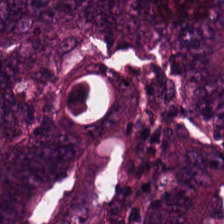H&E; 20× equivalent magnification — Classification — adenocarcinoma.
